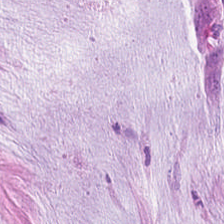Stain: H&E-stained tissue section.
Tissue: mucin.
